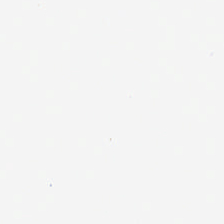H&E-stained tissue section — {"content": "empty background"}
